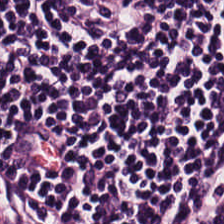H&E stain — Tissue — lymphocyte aggregate.
